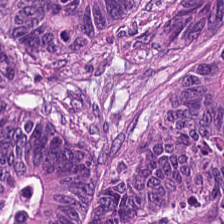H&E. Formalin-fixed paraffin-embedded section. WSI patch.
Histology → colorectal adenocarcinoma epithelium.
